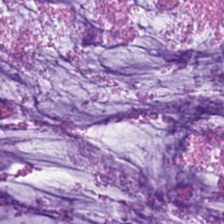H&E-stained tissue section; 20× equivalent magnification.
The tissue here is mucin.
